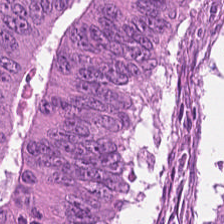H&E stain; FFPE tissue section. Q: What is the predominant tissue type?
A: It is colorectal adenocarcinoma epithelium.
